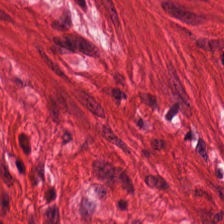Stain: H&E-stained tissue section.
Acquisition: WSI patch.
Predominant tissue: muscularis.
